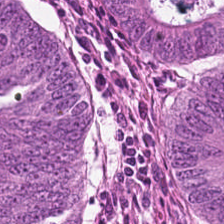Predominant tissue — colorectal adenocarcinoma.
